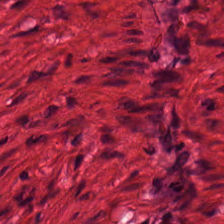224×224 px tile. H&E-stained tissue section. Tissue class = smooth-muscle tissue.
